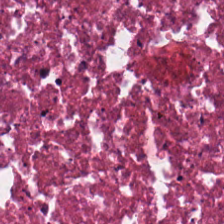Brightfield microscopy; FFPE tissue section; hematoxylin and eosin. Tissue: necrotic debris.
